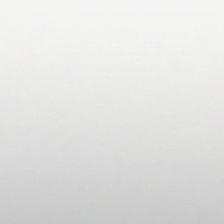H&E stain. No tissue present; background only.
